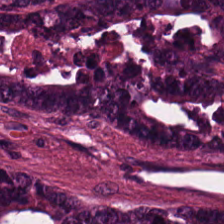Hematoxylin and eosin. Finding → malignant epithelium.
